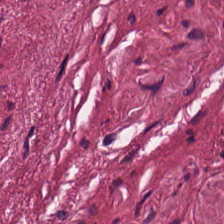Brightfield · 0.5 microns per pixel · hematoxylin-and-eosin stained section — The classification is cancer-associated stroma.
